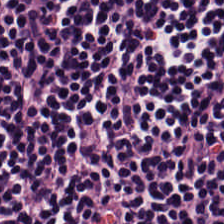0.5 µm/px · H&E stain — The predominant tissue is lymphocytes.
